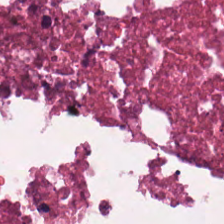Stain: hematoxylin and eosin.
Tile size: 224×224 px tile.
Tissue type: debris.
